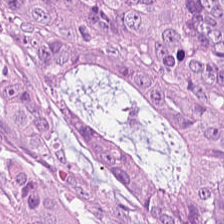Hematoxylin and eosin. Tissue — tumor epithelium.
